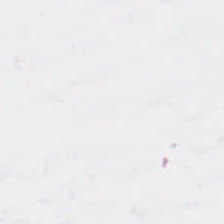Brightfield. 0.5 microns per pixel. Hematoxylin and eosin — {"content": "empty background"}
